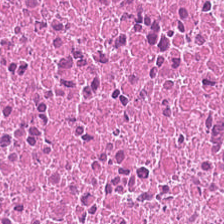Stain: H&E-stained tissue section.
Tile size: 224×224 px patch.
Resolution: 20× equivalent magnification.
Tissue type: cellular debris.
